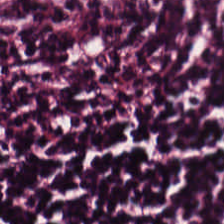The predominant tissue is lymphocytes.
